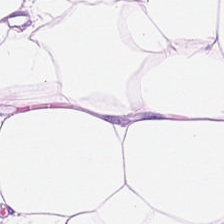H&E — fat tissue.
